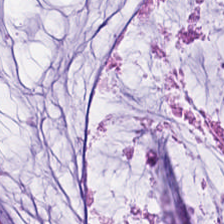Hematoxylin-and-eosin stained section — The tissue type is mucus.
